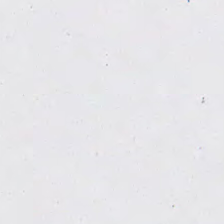H&E-stained tissue section — This patch shows background (no tissue).
